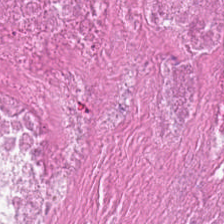H&E. This patch shows cellular debris.
